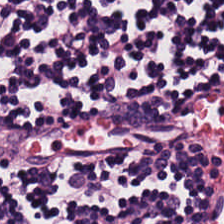Q: What type of tissue is this?
A: Lymphocytes.
